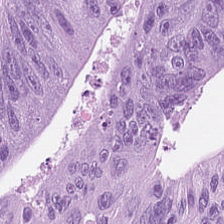Hematoxylin-and-eosin stained section. The tissue here is malignant epithelium.
